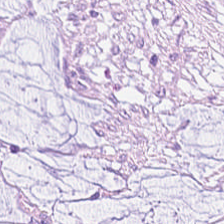Hematoxylin and eosin. FFPE. Q: What tissue type is shown here?
A: This is mucin.
